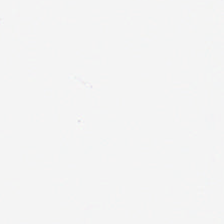Brightfield · 224×224 pixel tile · H&E-stained tissue section.
Q: What is shown in this field?
A: Background (no tissue).
